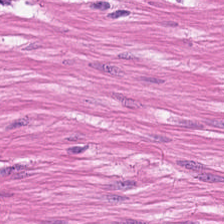H&E patch showing smooth-muscle tissue.
